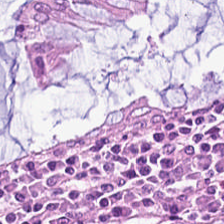H&E — The predominant tissue is normal colonic mucosa.
